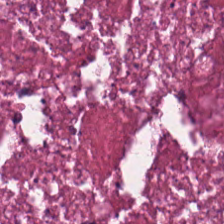H&E-stained tissue section. This field is cellular debris.
